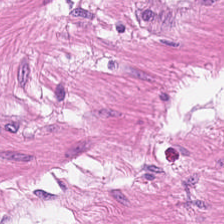This field is smooth-muscle tissue.
